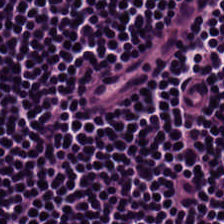Stain: hematoxylin-and-eosin stained section.
Resolution: 0.5 microns per pixel.
Classification: lymphoid infiltrate.
